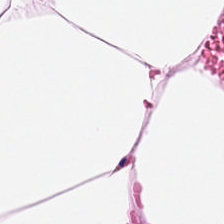H&E-stained tissue section — Q: Classify this patch.
A: Adipose tissue.
